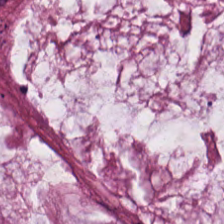H&E.
The tissue here is mucus.
